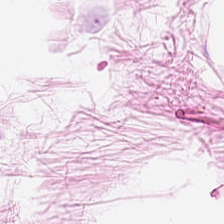WSI patch. 224×224 px patch. H&E-stained tissue section.
{"tissue_type": "adipose"}
